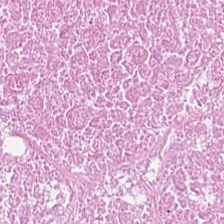H&E stain — This patch shows necrotic debris.
